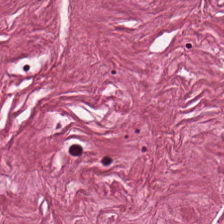20× equivalent magnification · hematoxylin-and-eosin stained section. This field is desmoplastic stroma.
